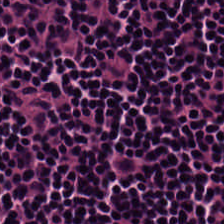Stain: H&E.
Preparation: formalin-fixed paraffin-embedded section.
Classification: lymphocytic infiltrate.
